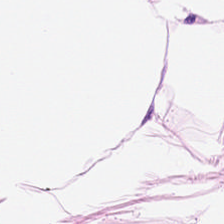Stain: H&E stain.
Tissue: adipocytes.
